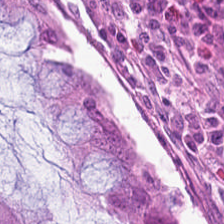H&E-stained tissue section; 224×224 px tile. The tissue class is normal colon mucosa.
